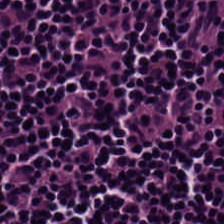Whole-slide-image patch · hematoxylin and eosin. This field is lymphocytic infiltrate.
